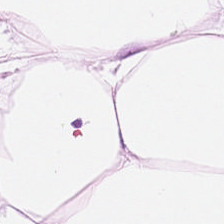H&E-stained tissue section. Formalin-fixed paraffin-embedded section — Showing adipose.
